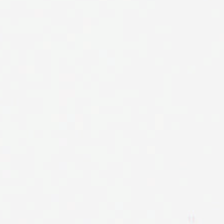Hematoxylin-and-eosin stained section.
Histology → empty background.
